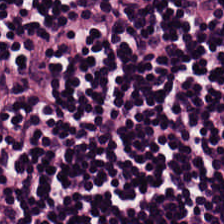Tissue class — lymphoid infiltrate.
